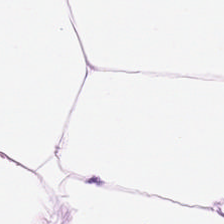H&E-stained tissue section · brightfield microscopy.
This patch shows fat tissue.
